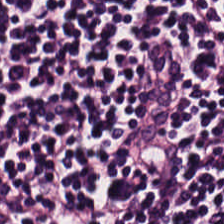H&E-stained tissue section — This patch shows lymphocytes.
